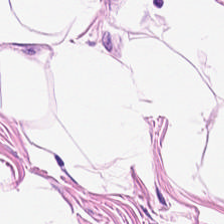H&E · 224×224 px tile · formalin-fixed paraffin-embedded section. Predominant tissue — fat tissue.
